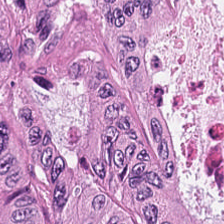0.5 µm/px; hematoxylin and eosin — This field is malignant epithelium.
